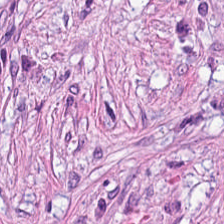H&E. {"tissue_type": "desmoplastic stroma"}
